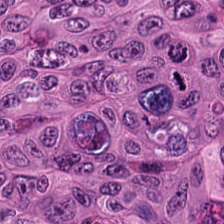H&E stain.
Histology — adenocarcinoma.
